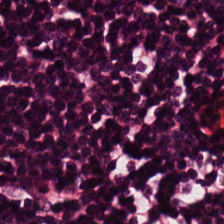Stain: H&E-stained tissue section.
Predominant tissue: lymphoid infiltrate.
